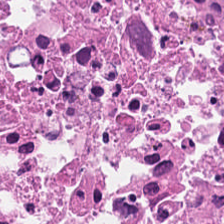0.5 microns per pixel · H&E-stained tissue section. Q: What does this patch show?
A: Necrotic debris.
